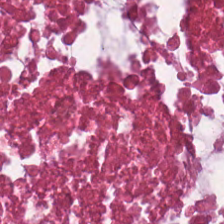FFPE tissue section. Hematoxylin-and-eosin stained section. 0.5 µm/px — Finding → cellular debris.
